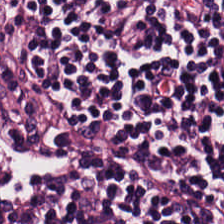Hematoxylin-and-eosin section: lymphocytes.
